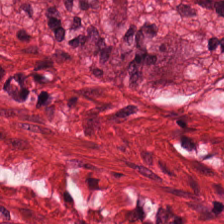H&E stain — {"tissue_type": "smooth muscle"}
